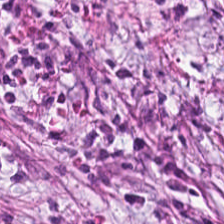Stain: H&E.
Tile size: 224×224 px tile.
Acquisition: brightfield.
Tissue: desmoplastic stroma.
